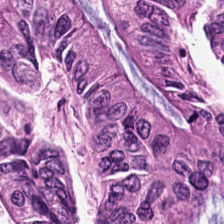H&E — Tissue type = colorectal adenocarcinoma.
